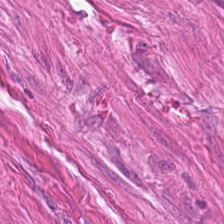The tissue here is muscularis.
